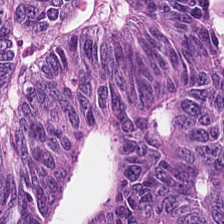H&E-stained tissue section showing adenocarcinoma.
